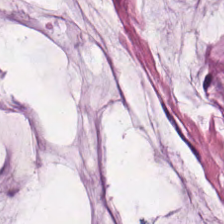H&E stain — Q: Identify the tissue.
A: Extracellular mucin.
